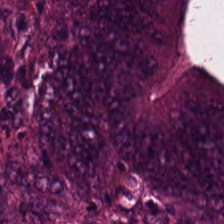H&E stain. This field is tumor epithelium.
